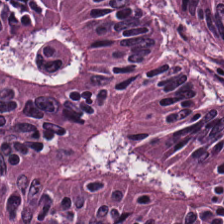Predominantly colorectal adenocarcinoma epithelium.
